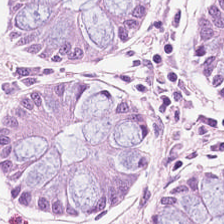H&E-stained tissue section. 0.5 microns per pixel. Showing non-neoplastic colon mucosa.
